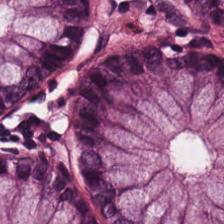Brightfield microscopy; H&E stain. Normal colonic mucosa.
